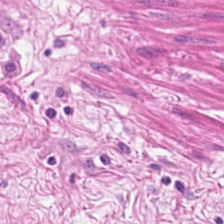Hematoxylin-and-eosin stained section.
Smooth muscle.
